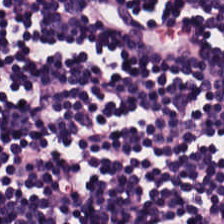Q: What tissue type is shown here?
A: This is lymphocytic infiltrate.
